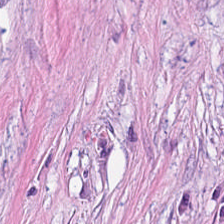Stain: H&E.
Tissue class: desmoplastic stroma.
